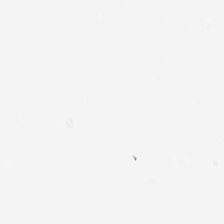This patch shows background (no tissue).
